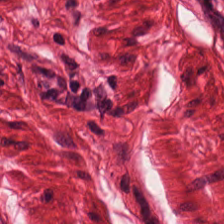Q: What tissue is shown?
A: The field shows muscularis.
